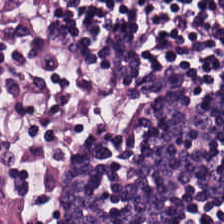Stain: H&E stain.
Predominant tissue: lymphocytic infiltrate.
